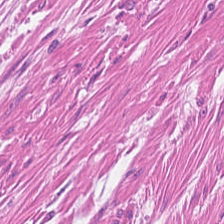H&E stain.
Q: What does this patch show?
A: This is muscularis.
